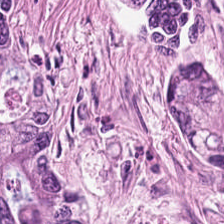Hematoxylin and eosin — Finding → colorectal adenocarcinoma epithelium.
